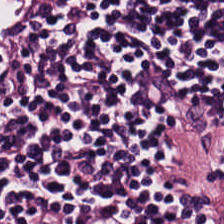Predominantly lymphocyte aggregate.
